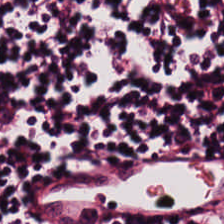The predominant tissue is lymphoid infiltrate.
